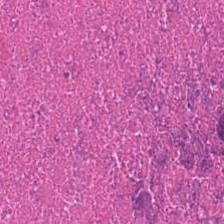H&E · 224×224 px patch · 0.5 µm per pixel.
The tissue here is necrotic debris.
